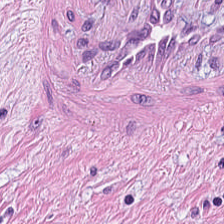H&E-stained tissue section; 0.5 microns per pixel. Impression — tumor-associated stroma.
